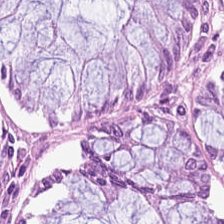H&E.
Finding — normal colon mucosa.
